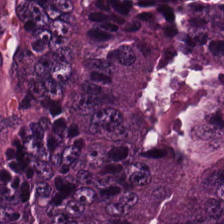WSI patch; formalin-fixed paraffin-embedded section; hematoxylin and eosin. Q: Classify this patch.
A: Colorectal adenocarcinoma.
